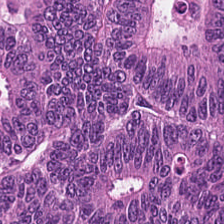Q: Classify this patch.
A: Malignant epithelium.
